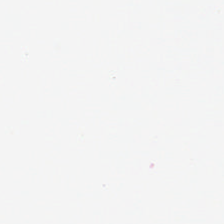Hematoxylin and eosin · FFPE tissue section — This field is background (no tissue).
